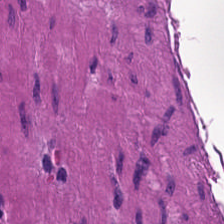H&E stain. Showing smooth muscle.
